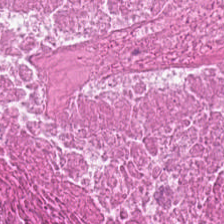0.5 µm/px. H&E-stained tissue section — Q: What is shown in this field?
A: This is debris.
